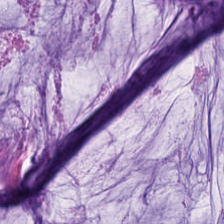H&E-stained tissue section. Tissue: extracellular mucin.
